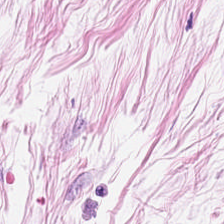H&E — Impression — fat tissue.
